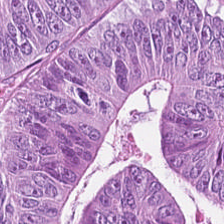Stain: H&E stain.
Tissue: adenocarcinoma.
